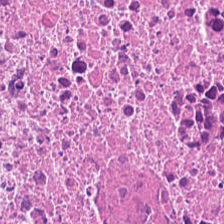Stain: H&E stain.
Classification: cellular debris.
